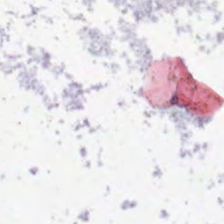Stain: H&E.
Field content: no tissue.
